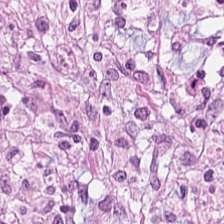224×224 px patch · WSI patch · H&E stain. Predominantly tumor-associated stroma.
